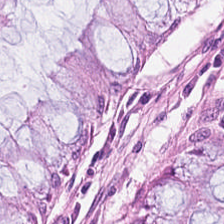H&E stain — Normal colon mucosa.
